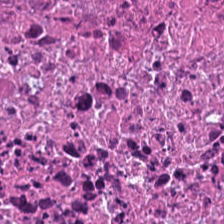Brightfield; hematoxylin and eosin; 0.5 µm per pixel. The predominant tissue is necrotic debris.
